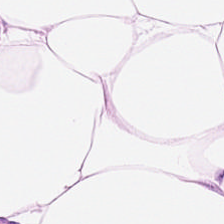H&E · formalin-fixed paraffin-embedded section.
This patch shows adipose.
